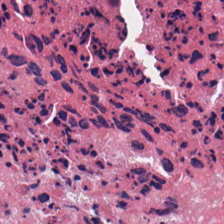Stain: H&E.
Tissue: necrotic debris.
